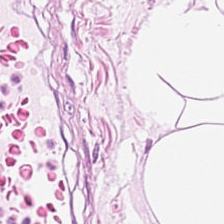H&E. FFPE.
Classification = adipocytes.
